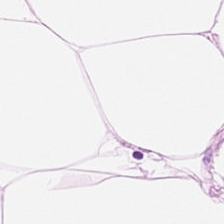{"tissue_type": "fat tissue"}
